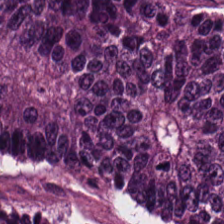224×224 px tile · hematoxylin-and-eosin stained section.
Tissue = tumor epithelium.
